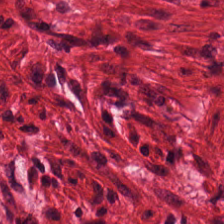Brightfield · H&E · formalin-fixed paraffin-embedded section.
Showing smooth-muscle tissue.
